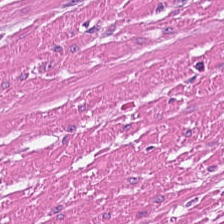Brightfield microscopy · H&E stain — Tissue class = smooth muscle.
